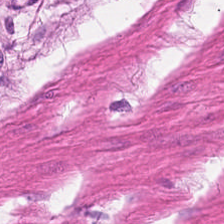Hematoxylin-and-eosin stained section · 224×224 px tile — The tissue here is smooth muscle.
